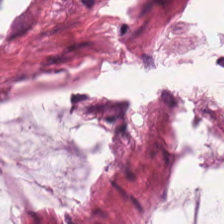Stain: H&E-stained tissue section.
Tissue type: extracellular mucin.
